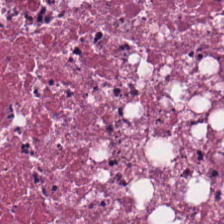H&E-stained tissue section. Tissue class — debris.
